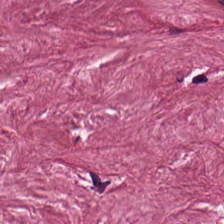Histology → tumor stroma.
